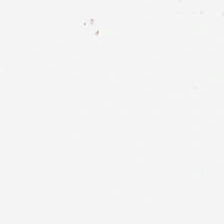H&E-stained tissue section — Background — no tissue in this field.
